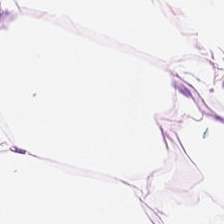H&E — Predominant tissue: adipose tissue.
